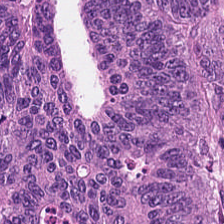Stain: H&E.
Classification: adenocarcinoma.
